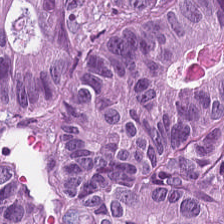Hematoxylin and eosin.
Q: What does this patch show?
A: It is adenocarcinoma.
